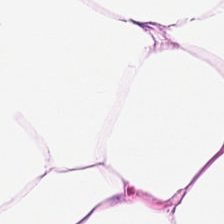Q: What tissue type is shown here?
A: This is fat tissue.
